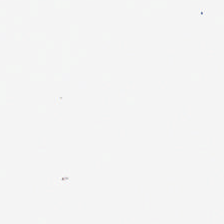Stain: H&E stain.
Content: background (no tissue).
